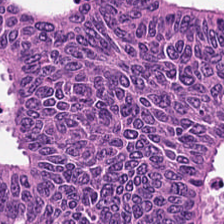Hematoxylin-and-eosin section: colorectal adenocarcinoma.
